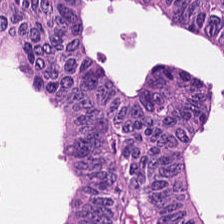FFPE · H&E stain · 0.5 µm per pixel.
{"tissue_type": "colorectal adenocarcinoma epithelium"}
